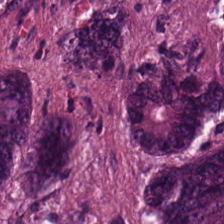H&E-stained tissue section. The tissue here is adenocarcinoma.
